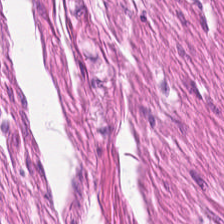H&E-stained tissue section — {"tissue_type": "muscularis"}
